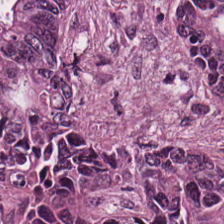H&E-stained tissue section — Tumor epithelium.
